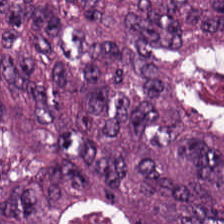FFPE tissue section; hematoxylin and eosin; 224×224 pixel tile.
The predominant tissue is colorectal adenocarcinoma.
